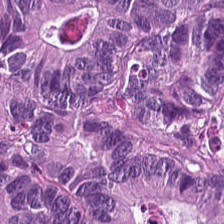224×224 pixel tile. FFPE. H&E. Histology → colorectal adenocarcinoma epithelium.
